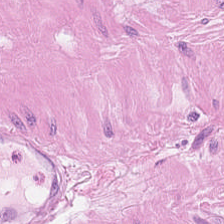224×224 px patch; H&E-stained tissue section; 0.5 microns per pixel.
Q: What is shown here?
A: Smooth muscle.
